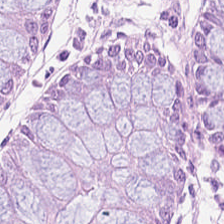Hematoxylin and eosin.
Finding → normal colonic mucosa.
